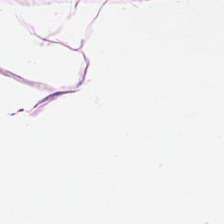FFPE; hematoxylin and eosin — This patch shows adipose tissue.
